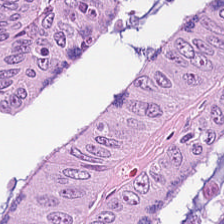Q: What does this patch show?
A: It is adenocarcinoma.
